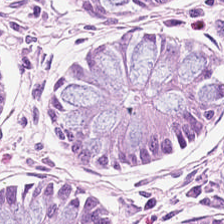WSI patch. H&E-stained tissue section — Tissue: normal colonic mucosa.
